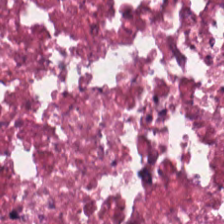224×224 px tile. H&E. Tissue type = cellular debris.
